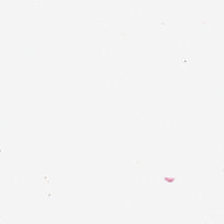{"content": "background (no tissue)"}
